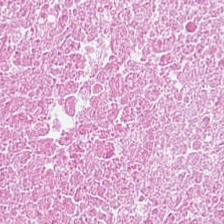This field is cellular debris.
